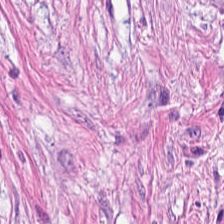Brightfield microscopy; hematoxylin-and-eosin stained section; formalin-fixed paraffin-embedded section.
Impression → tumor-associated stroma.
